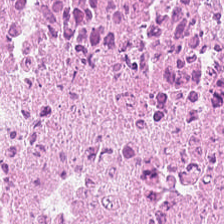Stain: hematoxylin and eosin.
Tissue type: debris.
